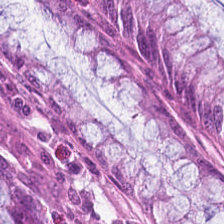H&E; 0.5 µm/px. Impression — normal colonic mucosa.
